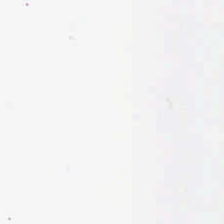Stain: hematoxylin-and-eosin stained section.
Field content: background (no tissue).
